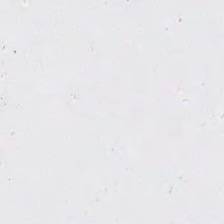H&E stain; FFPE tissue section. Empty background.
